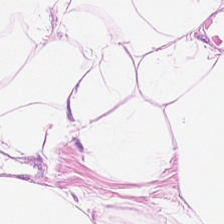H&E.
This patch shows adipose tissue.
